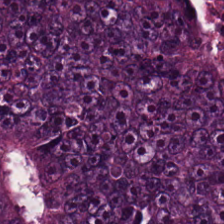Hematoxylin and eosin — The tissue class is colorectal adenocarcinoma epithelium.
